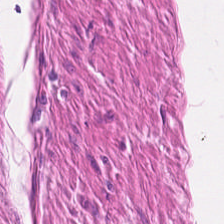This field is smooth-muscle tissue.
